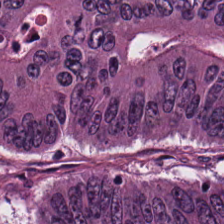Hematoxylin and eosin. Predominantly colorectal adenocarcinoma.
